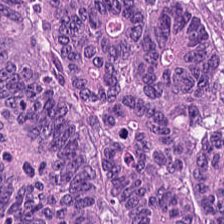This patch shows adenocarcinoma.
